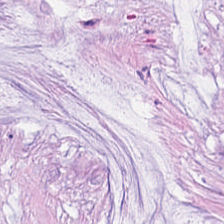0.5 µm per pixel · H&E stain · FFPE tissue section — This field is mucin.
